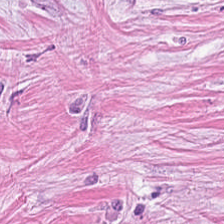Q: What is the predominant tissue type?
A: Desmoplastic stroma.
